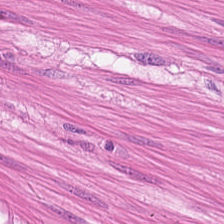H&E-stained tissue section showing muscularis.
